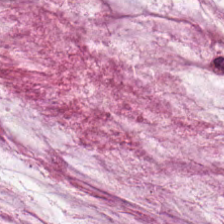H&E · whole-slide-image patch. Predominantly mucus.
